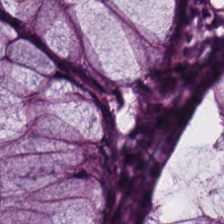Hematoxylin-and-eosin section: normal colonic mucosa.
